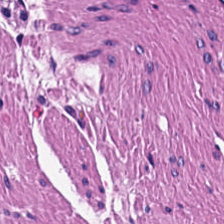Predominantly smooth muscle.
